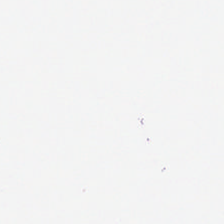H&E.
No tissue present; background only.
